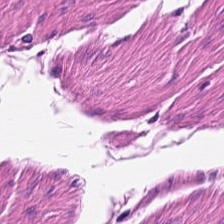Stain: H&E stain.
Predominant tissue: smooth muscle.
